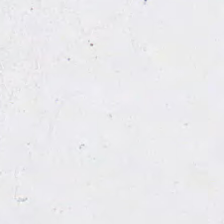224×224 pixel tile. H&E-stained tissue section. This patch shows empty background.
